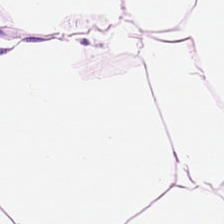H&E-stained tissue section · brightfield. Tissue = adipocytes.
